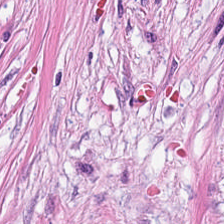0.5 µm per pixel; hematoxylin and eosin.
Finding → cancer-associated stroma.
